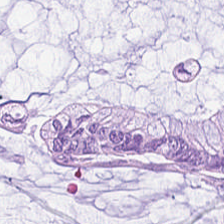0.5 µm per pixel; hematoxylin and eosin; whole-slide-image patch. Mucin.
